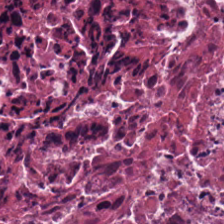H&E-stained tissue section. 224×224 pixel tile — Tissue type: debris.
